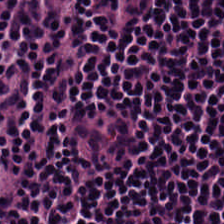H&E-stained section; the field shows lymphocytic infiltrate.
